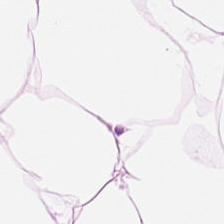20× equivalent magnification. H&E-stained tissue section.
Predominantly fat tissue.
